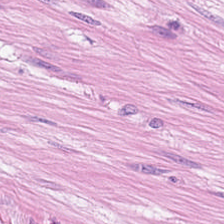Stain: H&E stain.
Tile size: 224×224 pixel tile.
Tissue: smooth-muscle tissue.
